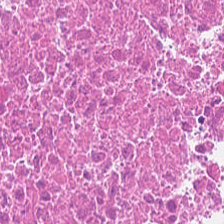Hematoxylin-and-eosin stained section — {"tissue_type": "cellular debris"}
